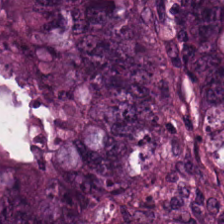224×224 pixel tile; H&E-stained tissue section — The tissue is colorectal adenocarcinoma epithelium.
